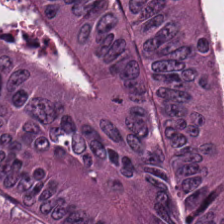Hematoxylin-and-eosin stained section · 20× equivalent magnification.
The classification is malignant epithelium.
